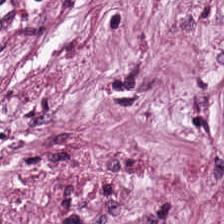H&E. Impression — cancer-associated stroma.
